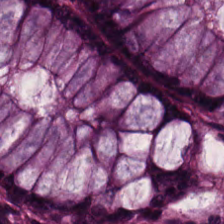The classification is normal colon mucosa.
